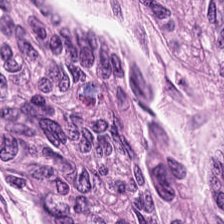H&E stain · WSI patch — Finding → malignant epithelium.
